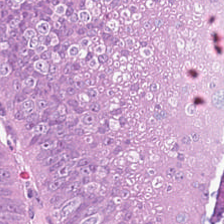224×224 px tile; H&E; FFPE tissue section.
The classification is colorectal adenocarcinoma.
